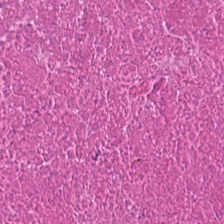Stain: H&E.
Classification: debris.
